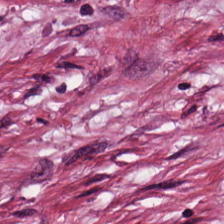Brightfield microscopy. Hematoxylin-and-eosin stained section.
Tissue type: desmoplastic stroma.
